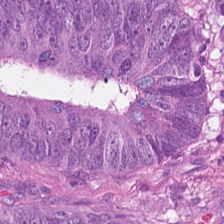Tissue type — colorectal adenocarcinoma.
